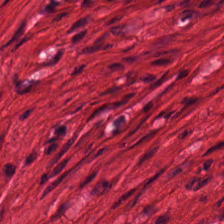224×224 px tile · H&E stain.
The tissue here is smooth muscle.
